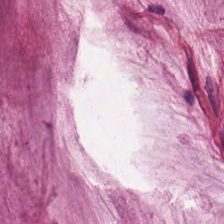Hematoxylin-and-eosin section: extracellular mucin.
